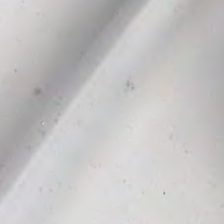H&E. Classification — background.
